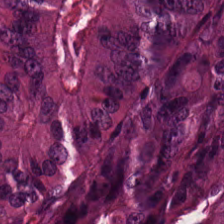Whole-slide-image patch. 224×224 px patch. Hematoxylin-and-eosin stained section — The predominant tissue is malignant epithelium.
